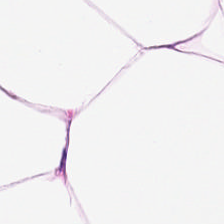H&E stain.
Predominantly adipose tissue.
